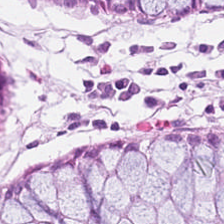H&E stain. {"tissue_type": "normal colon mucosa"}
